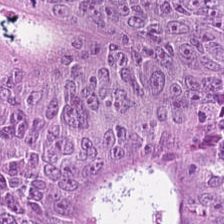H&E.
{"tissue_type": "colorectal adenocarcinoma"}
